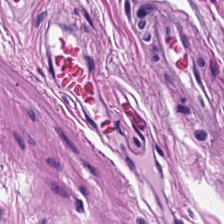Classification = smooth muscle.
